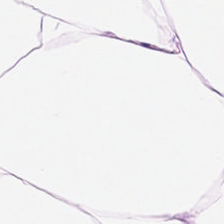H&E stain — Tissue type = adipose.
